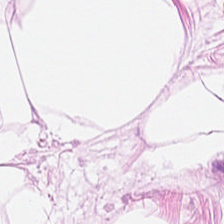The predominant tissue is adipose.
